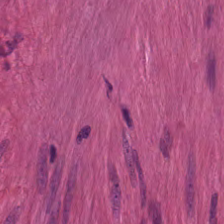{"tissue_type": "smooth muscle"}
